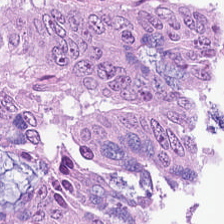Hematoxylin and eosin — Predominant tissue: colorectal adenocarcinoma epithelium.
